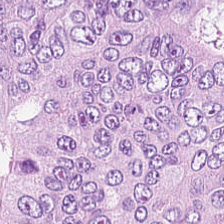Malignant epithelium.
